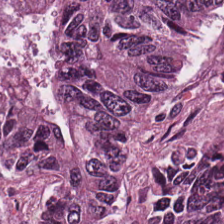0.5 microns per pixel; hematoxylin and eosin — Q: Identify the tissue.
A: Tumor epithelium.
